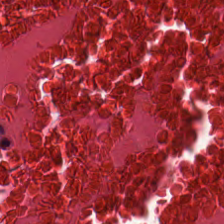H&E-stained tissue section; 20× equivalent magnification.
Finding — necrotic debris.
